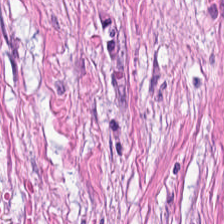Hematoxylin and eosin. Predominant tissue: tumor-associated stroma.
